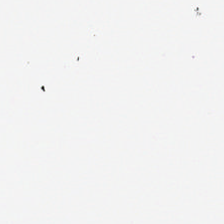H&E-stained tissue section — This field is background (no tissue).
